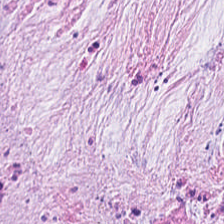H&E stain. The predominant tissue is desmoplastic stroma.
